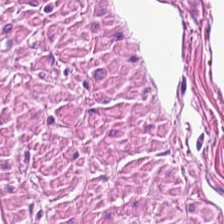H&E — muscularis.
